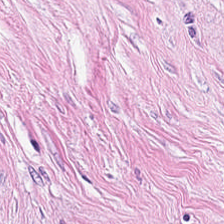Stain: H&E-stained tissue section.
Tissue type: tumor-associated stroma.
